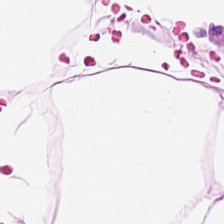0.5 µm per pixel. H&E-stained tissue section.
Showing adipocytes.
